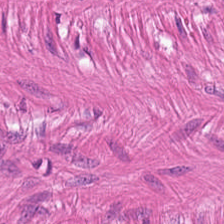Hematoxylin-and-eosin stained section; 0.5 microns per pixel.
Tissue type: smooth muscle.
